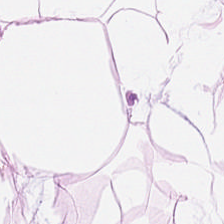H&E.
Fat tissue.
